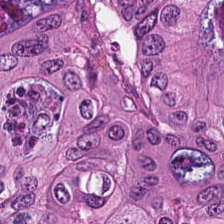Brightfield; hematoxylin-and-eosin stained section; 224×224 px patch.
Q: What tissue type is shown here?
A: It is tumor epithelium.
